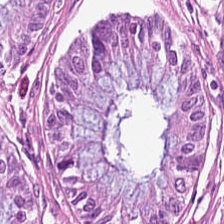H&E-stained tissue section; 0.5 µm per pixel. Classification — normal colonic mucosa.
